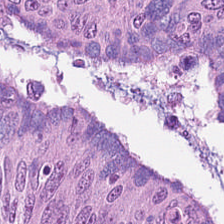Impression → colorectal adenocarcinoma.
